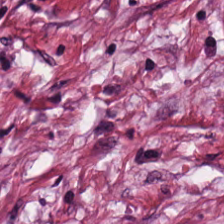H&E — Desmoplastic stroma.
